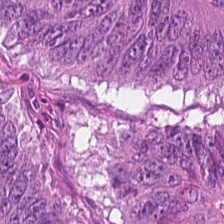This field is tumor epithelium.
